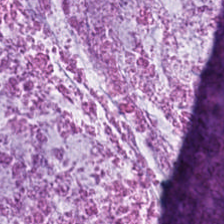H&E stain. Predominantly mucus.
